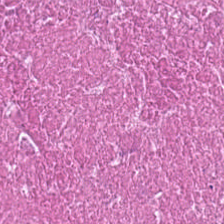224×224 px tile; hematoxylin and eosin. Predominant tissue: cellular debris.
